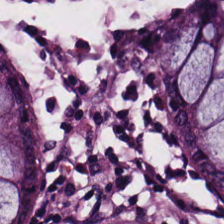H&E stain.
Tissue class — non-neoplastic colon mucosa.
